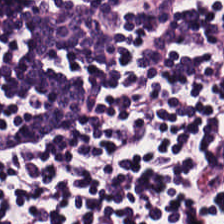Brightfield microscopy · H&E-stained tissue section — The predominant tissue is lymphocytic infiltrate.
